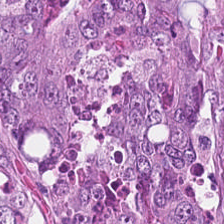H&E stain.
Tissue type = tumor epithelium.
